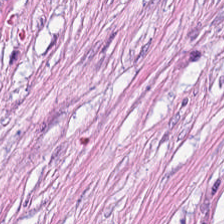Impression — tumor-associated stroma.
